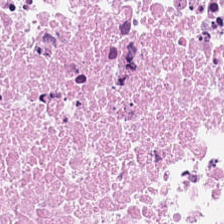H&E patch showing cellular debris.
